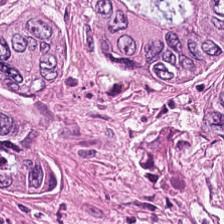Hematoxylin-and-eosin stained section. Tissue class = colorectal adenocarcinoma.
